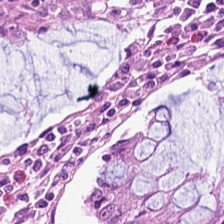Hematoxylin-and-eosin stained section; formalin-fixed paraffin-embedded section.
The tissue is normal colonic mucosa.
